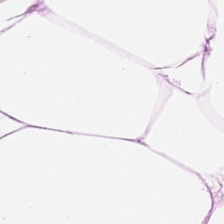Fat tissue.
